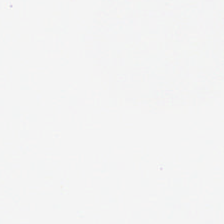0.5 µm per pixel · H&E stain. Impression — background.
